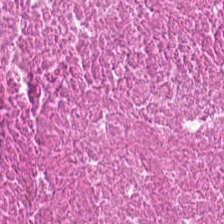Classification = debris.
